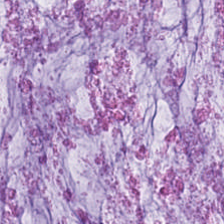Stain: hematoxylin-and-eosin stained section.
Classification: extracellular mucin.
